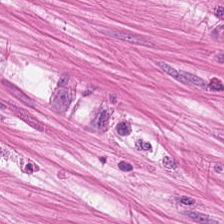Hematoxylin-and-eosin stained section. This field is smooth-muscle tissue.
